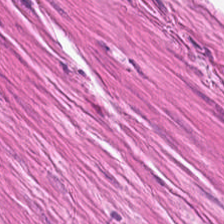Tissue: smooth muscle.
